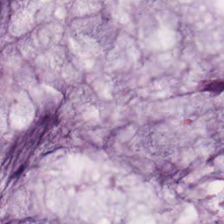Stain: H&E-stained tissue section.
Preparation: FFPE tissue section.
Classification: mucus.
